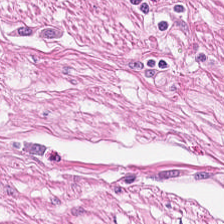H&E-stained tissue section; formalin-fixed paraffin-embedded section. The tissue here is smooth muscle.
